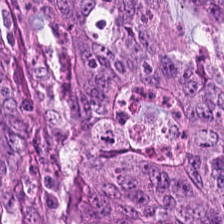20× equivalent magnification · H&E-stained tissue section · FFPE tissue section — This patch shows adenocarcinoma.
